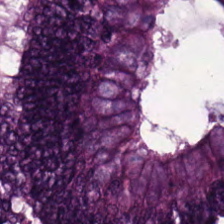20× equivalent magnification; hematoxylin and eosin.
Q: What tissue type is shown here?
A: Tumor epithelium.
